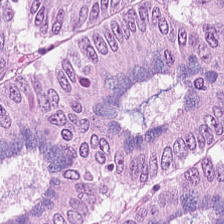0.5 microns per pixel; H&E stain; whole-slide-image patch. This patch shows tumor epithelium.
